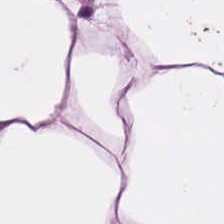H&E-stained tissue section — {"tissue_type": "adipose"}
